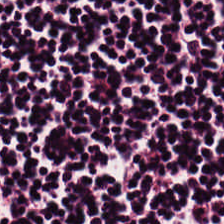H&E — Tissue type: lymphocytic infiltrate.
